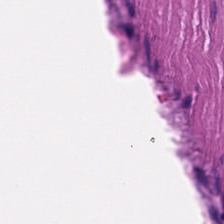0.5 microns per pixel · hematoxylin and eosin — Predominantly smooth muscle.
